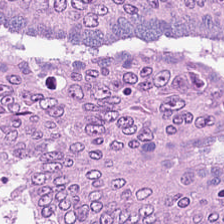Hematoxylin-and-eosin stained section — Showing tumor epithelium.
